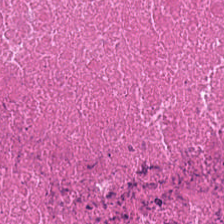20× equivalent magnification · hematoxylin and eosin — Q: What is the predominant tissue type?
A: It is debris.
